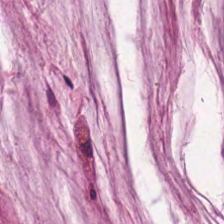H&E-stained tissue section · 224×224 pixel tile.
Showing mucin.
